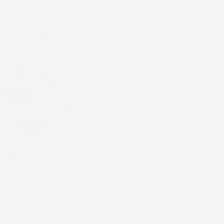WSI patch; hematoxylin and eosin; 224×224 px patch. {"content": "empty background"}
